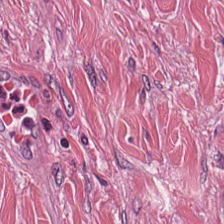0.5 microns per pixel · hematoxylin and eosin — Q: Classify this patch.
A: Desmoplastic stroma.
